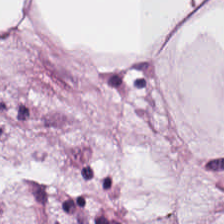Brightfield microscopy · H&E-stained tissue section.
Predominant tissue: fat tissue.
